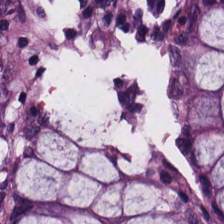H&E stain. Impression → normal colonic mucosa.
